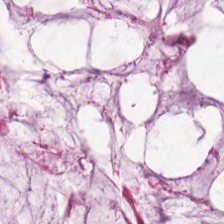Classification: mucus.
